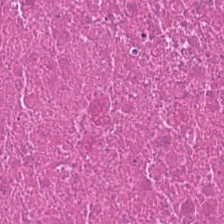Hematoxylin-and-eosin stained section. FFPE tissue section. The tissue type is cellular debris.
